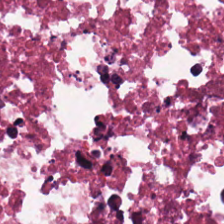The tissue type is cellular debris.
